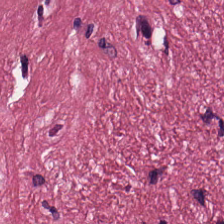Hematoxylin-and-eosin stained section.
Tissue class — tumor-associated stroma.
